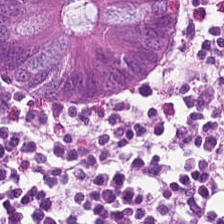H&E. 0.5 µm/px.
The tissue class is benign colonic mucosa.
